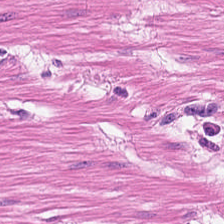Hematoxylin and eosin. {"tissue_type": "smooth muscle"}
